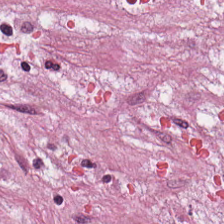H&E-stained tissue section.
Q: Classify this patch.
A: This is tumor stroma.
